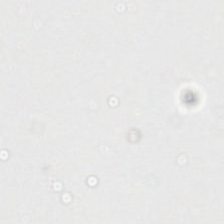H&E stain.
No tissue present; background only.
